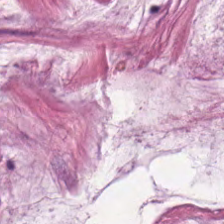224×224 px patch. H&E. Formalin-fixed paraffin-embedded section — Finding — mucin.
